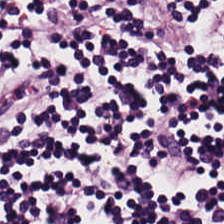Stain: H&E stain.
Tissue: lymphocytes.
